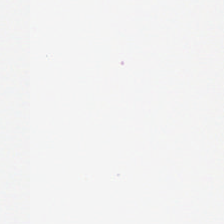H&E-stained tissue section.
Background — no tissue in this field.
